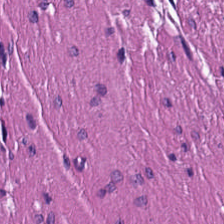H&E-stained tissue section. Classification = muscularis.
